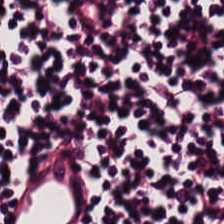Stain: H&E-stained tissue section.
Tile size: 224×224 px tile.
Tissue class: lymphocyte aggregate.
